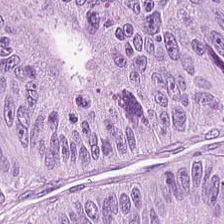Formalin-fixed paraffin-embedded section · H&E-stained tissue section.
Histology → adenocarcinoma.
